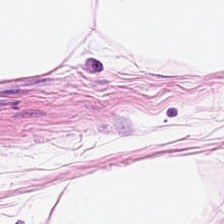Hematoxylin-and-eosin stained section. Finding → adipose.
